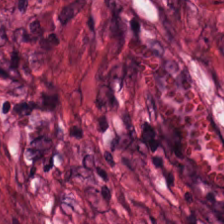H&E-stained tissue section. This patch shows cancer-associated stroma.
